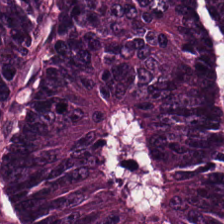Finding — tumor epithelium.
